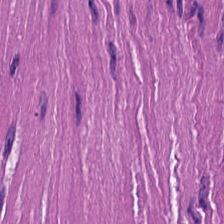The tissue is smooth muscle.
